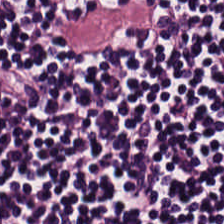224×224 pixel tile; hematoxylin and eosin — This patch shows lymphoid infiltrate.
